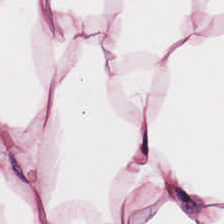224×224 px patch · H&E · FFPE tissue section. Tissue class = adipose.
